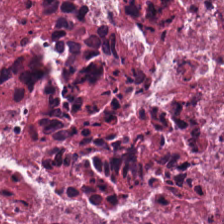H&E — Predominantly cellular debris.
